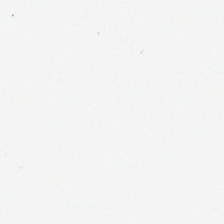Whole-slide-image patch. Formalin-fixed paraffin-embedded section. Hematoxylin and eosin. {"content": "background"}
